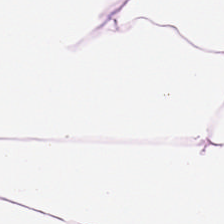Hematoxylin-and-eosin stained section.
Tissue type = adipose tissue.
